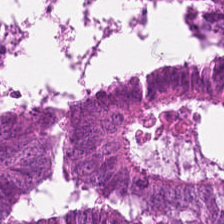0.5 µm/px · hematoxylin and eosin — Showing colorectal adenocarcinoma.
